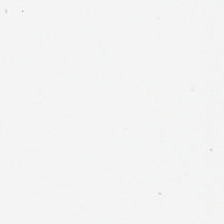Stain: H&E-stained tissue section.
Acquisition: WSI patch.
Field content: empty background.
